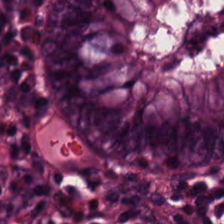Hematoxylin and eosin; WSI patch.
The predominant tissue is normal colon mucosa.
